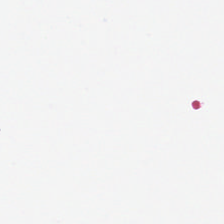H&E-stained tissue section — The classification is background (no tissue).
